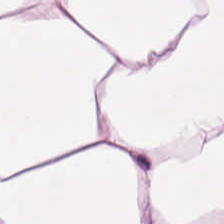H&E stain — This patch shows adipocytes.
